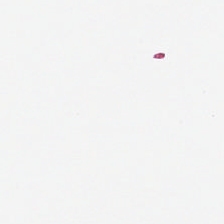Empty background.
